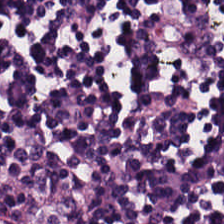H&E-stained tissue section — Q: What is shown in this field?
A: It is lymphocyte aggregate.
